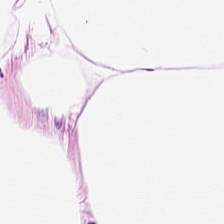FFPE; H&E — Tissue type = fat tissue.
